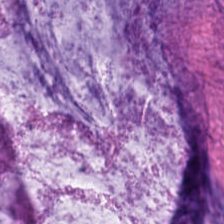Tissue type: mucus.
